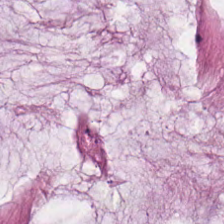Hematoxylin and eosin.
Histology — extracellular mucin.
